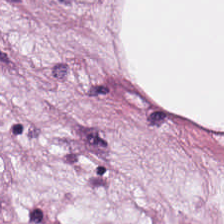H&E.
Showing fat tissue.
